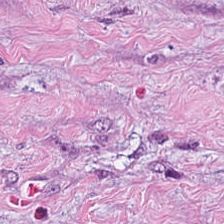Hematoxylin-and-eosin stained section — {"tissue_type": "tumor stroma"}
